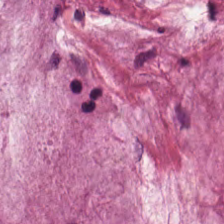Mucus.
